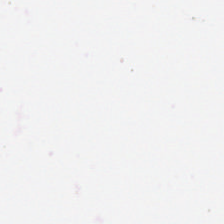Content — background (no tissue).
